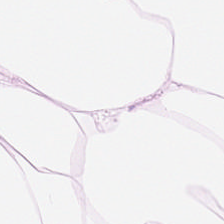H&E. Predominant tissue — adipose tissue.
